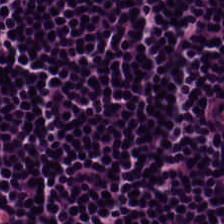{"tissue_type": "lymphocyte aggregate"}
